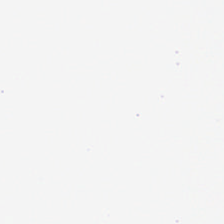Stain: hematoxylin-and-eosin stained section.
Field content: background.
